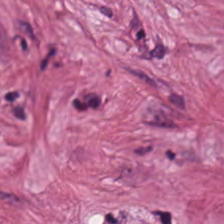Hematoxylin and eosin · brightfield. Tissue: desmoplastic stroma.
